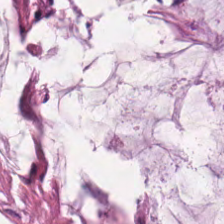H&E-stained section; the field shows extracellular mucin.
